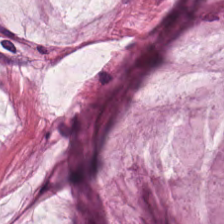Hematoxylin-and-eosin stained section. The predominant tissue is mucus.
